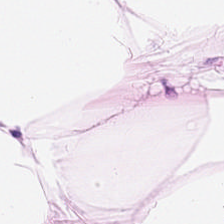Stain: hematoxylin and eosin.
Tissue type: fat tissue.
